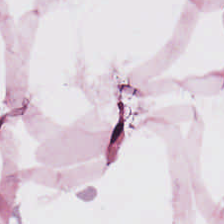Hematoxylin and eosin. Finding — adipose.
